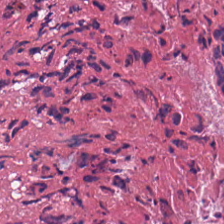Hematoxylin-and-eosin stained section; 0.5 microns per pixel; 224×224 px tile. Tissue type — cellular debris.
